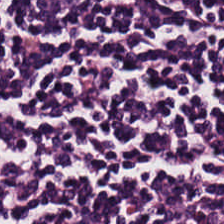Whole-slide-image patch · H&E stain — Tissue type — lymphoid infiltrate.
